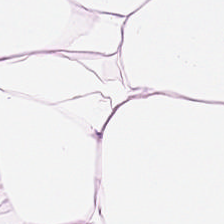H&E-stained tissue section.
Q: Identify the tissue.
A: This is fat tissue.
